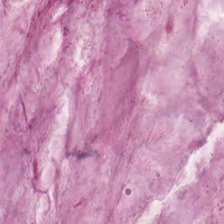FFPE tissue section. Hematoxylin and eosin. Brightfield.
The tissue here is mucus.
